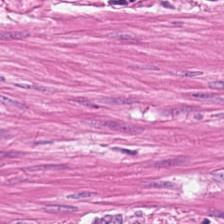H&E patch showing muscularis.
